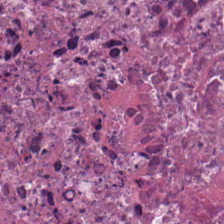Q: What is the predominant tissue type?
A: It is necrotic debris.
